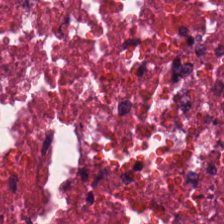Q: What tissue is shown?
A: The field shows debris.
